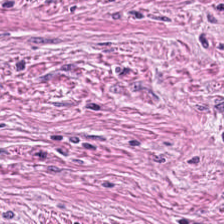H&E; 0.5 microns per pixel; 224×224 pixel tile.
This field is desmoplastic stroma.
